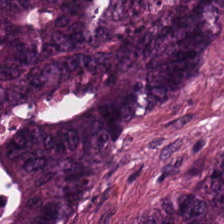H&E — The predominant tissue is colorectal adenocarcinoma epithelium.
